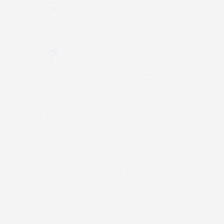Formalin-fixed paraffin-embedded section · hematoxylin and eosin · 0.5 microns per pixel. This field is background (no tissue).
